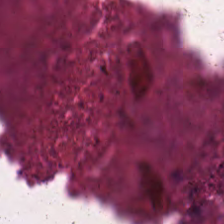H&E · formalin-fixed paraffin-embedded section — {"tissue_type": "debris"}
